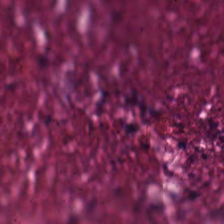H&E; 224×224 pixel tile; 20× equivalent magnification — Predominant tissue — cellular debris.
